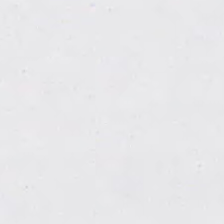Hematoxylin-and-eosin stained section. Impression → background.
